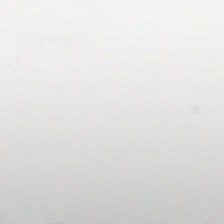Hematoxylin-and-eosin stained section · 224×224 px patch. Field content: background (no tissue).
